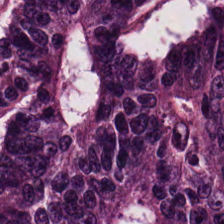H&E stain.
Showing malignant epithelium.
